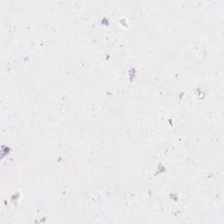Brightfield; formalin-fixed paraffin-embedded section; H&E.
This patch shows background (no tissue).
